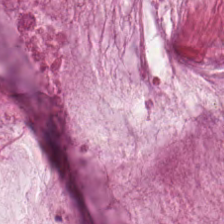Hematoxylin and eosin — Finding — mucus.
